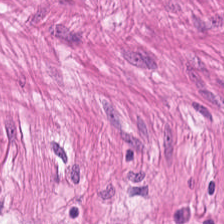224×224 px tile · H&E-stained tissue section · 0.5 microns per pixel.
Classification: smooth muscle.
